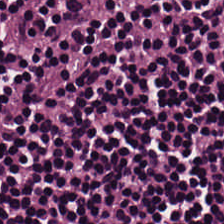H&E. The predominant tissue is lymphocytic infiltrate.
